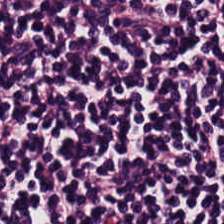H&E. 224×224 px tile. Predominantly lymphocytes.
